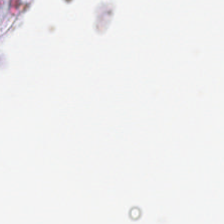Stain: hematoxylin-and-eosin stained section.
Content: background (no tissue).
